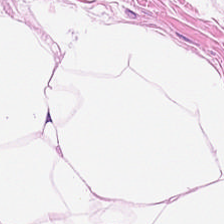Hematoxylin and eosin. This field is adipocytes.
